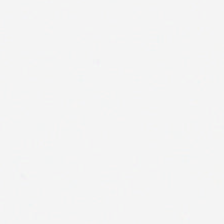H&E · 20× equivalent magnification · whole-slide-image patch. The classification is background.
